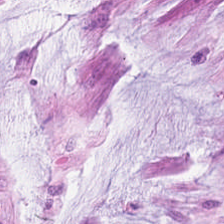0.5 µm per pixel · H&E · FFPE — Predominantly mucus.
